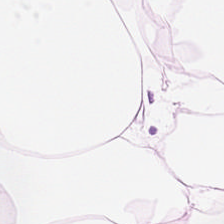H&E.
Q: What does this patch show?
A: It is adipose.
